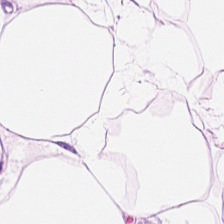Hematoxylin-and-eosin stained section · 0.5 µm/px — Q: What does this patch show?
A: Fat tissue.
